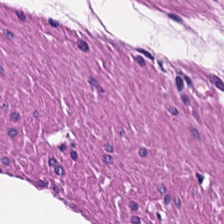Hematoxylin and eosin · 20× equivalent magnification.
Predominantly muscularis.
